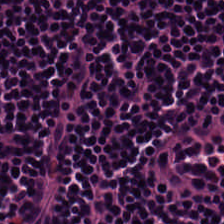Tissue type = lymphocytic infiltrate.
